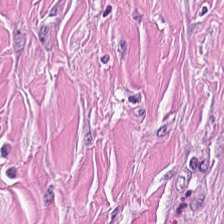Classification — desmoplastic stroma.
